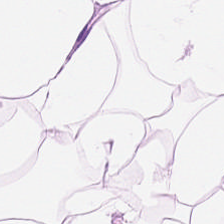FFPE · H&E-stained tissue section — Predominant tissue — adipocytes.
